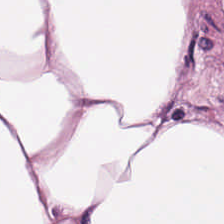H&E. This field is adipose.
